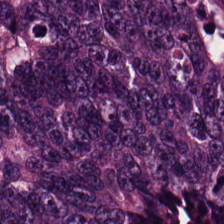Predominant tissue = tumor epithelium.
